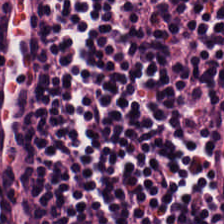H&E. 224×224 px patch. FFPE tissue section.
The tissue here is lymphocytes.
